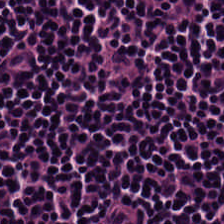WSI patch · 224×224 pixel tile · H&E-stained tissue section — Showing lymphoid infiltrate.
